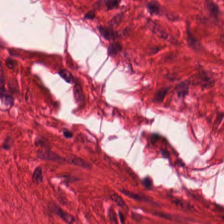Hematoxylin-and-eosin stained section — Q: What is the predominant tissue type?
A: The field shows smooth muscle.
